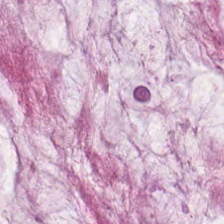H&E-stained tissue section. Formalin-fixed paraffin-embedded section.
Extracellular mucin.
